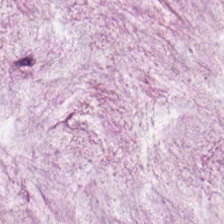Hematoxylin-and-eosin stained section. Predominant tissue — extracellular mucin.
